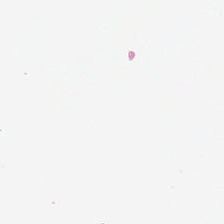No tissue present; background only.
